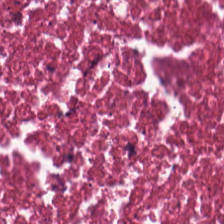Brightfield microscopy. Hematoxylin-and-eosin stained section. This patch shows debris.
